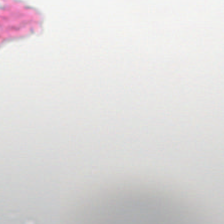H&E. This field is background (no tissue).
